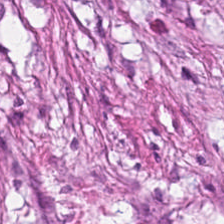224×224 px tile · hematoxylin and eosin.
Tissue type = tumor-associated stroma.
